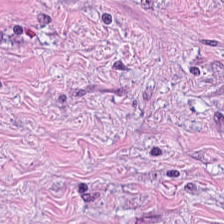Hematoxylin-and-eosin stained section. Histology → cancer-associated stroma.
